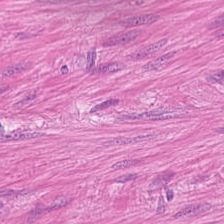H&E stain — Smooth muscle.
